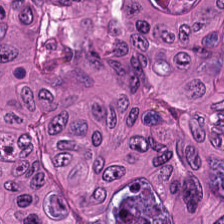H&E patch showing tumor epithelium.
